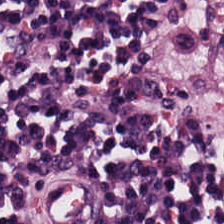Hematoxylin-and-eosin stained section. Classification — lymphocytic infiltrate.
